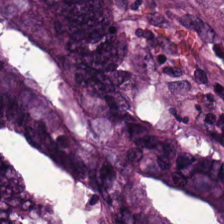H&E.
{"tissue_type": "tumor epithelium"}
